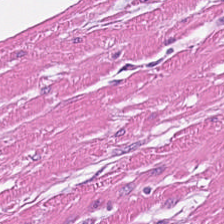H&E.
Tissue type — smooth-muscle tissue.
